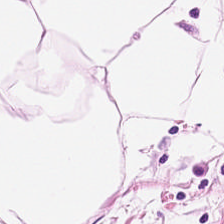H&E-stained tissue section.
Showing fat tissue.
